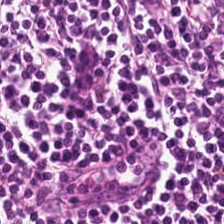H&E.
Showing lymphoid infiltrate.
